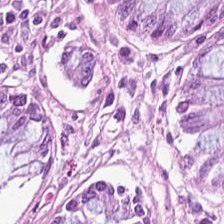20× equivalent magnification · H&E stain.
Tissue type: non-neoplastic colon mucosa.
